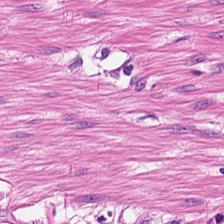Formalin-fixed paraffin-embedded section · hematoxylin and eosin.
The tissue here is smooth muscle.
